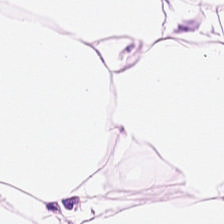FFPE · brightfield microscopy · hematoxylin and eosin.
Q: What type of tissue is this?
A: Adipose.
